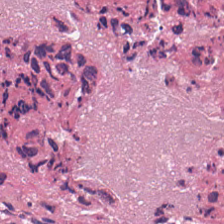Showing necrotic debris.
